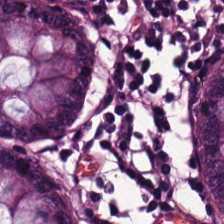H&E. The tissue here is normal colon mucosa.
